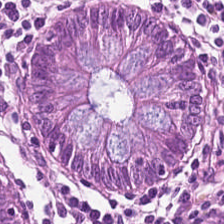Hematoxylin-and-eosin stained section; 224×224 px patch; 20× equivalent magnification — The predominant tissue is benign colonic mucosa.
